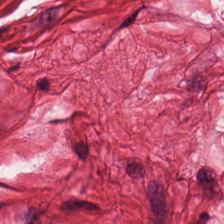Hematoxylin-and-eosin stained section. FFPE. 0.5 microns per pixel.
Histology → muscularis.
